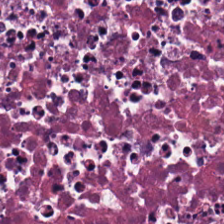Hematoxylin-and-eosin stained section. 0.5 µm per pixel — Q: What does this patch show?
A: Debris.
